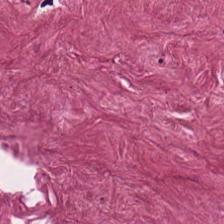H&E-stained tissue section.
Predominant tissue = desmoplastic stroma.
